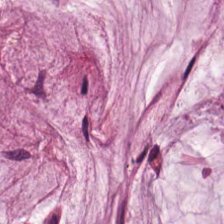Hematoxylin-and-eosin stained section. 0.5 µm/px. This field is mucin.
